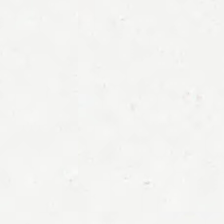This field is background (no tissue).
